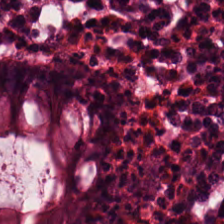Hematoxylin-and-eosin stained section.
Tissue class — benign colonic mucosa.
